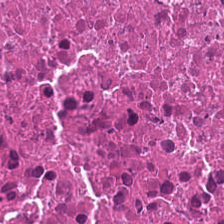Classification — debris.
